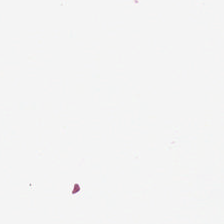Hematoxylin and eosin. Histology — empty background.
